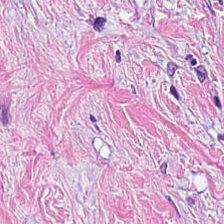H&E stain. WSI patch. The predominant tissue is tumor-associated stroma.
